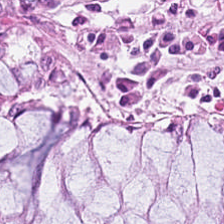H&E stain. Tissue: benign colonic mucosa.
